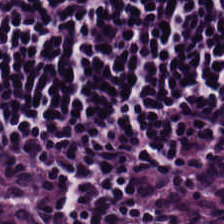The tissue here is lymphocytes.
